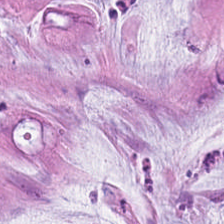Hematoxylin-and-eosin section: mucin.
